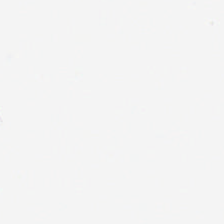H&E-stained tissue section. FFPE — Histology → background (no tissue).
